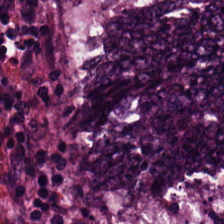Stain: hematoxylin and eosin.
Tissue type: adenocarcinoma.
